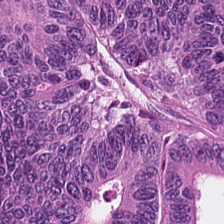Hematoxylin and eosin — Q: Identify the tissue.
A: The field shows tumor epithelium.
